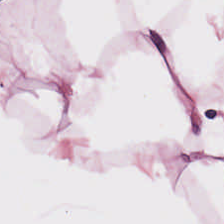Whole-slide-image patch. H&E. 0.5 microns per pixel.
Q: What tissue type is shown here?
A: This is fat tissue.
